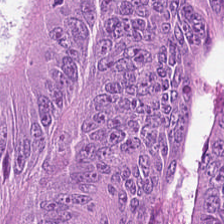Formalin-fixed paraffin-embedded section · H&E-stained tissue section.
The tissue class is colorectal adenocarcinoma.
